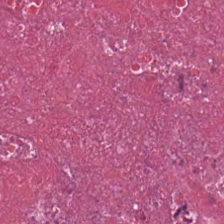Hematoxylin and eosin — Necrotic debris.
